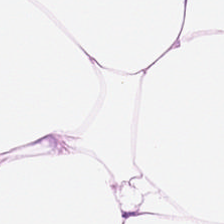224×224 px tile · H&E-stained tissue section — Q: What is shown in this field?
A: Adipocytes.
